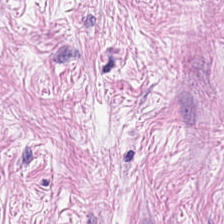Hematoxylin-and-eosin stained section.
Predominantly cancer-associated stroma.
